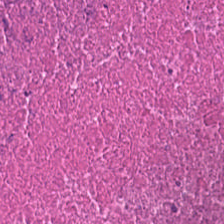Stain: hematoxylin and eosin.
Tile size: 224×224 px patch.
Preparation: FFPE.
Tissue: necrotic debris.
